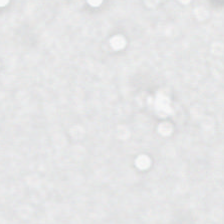{"content": "background"}
